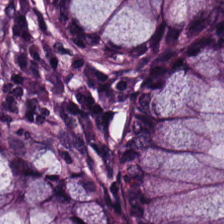Hematoxylin and eosin; 0.5 µm/px — The tissue here is non-neoplastic colon mucosa.
